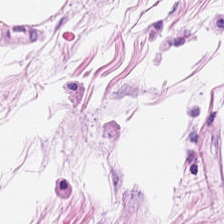Hematoxylin-and-eosin stained section.
This field is adipose.
